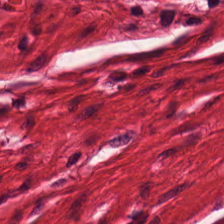Stain: H&E.
Classification: smooth-muscle tissue.
